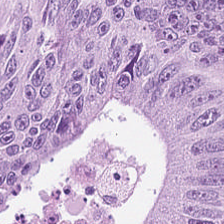Stain: H&E stain.
Tissue type: tumor epithelium.
